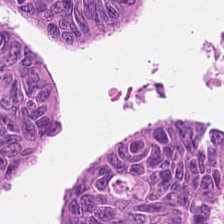Hematoxylin and eosin · 224×224 px tile.
This field is colorectal adenocarcinoma epithelium.
